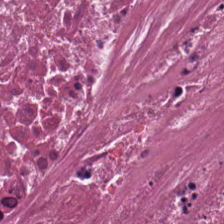Q: What is the predominant tissue type?
A: The field shows cellular debris.
